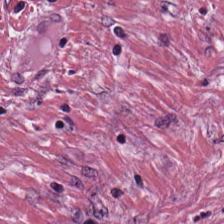Hematoxylin and eosin. This patch shows tumor stroma.
